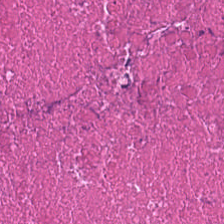H&E-stained tissue section. Predominant tissue: necrotic debris.
